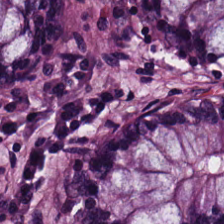H&E stain — Q: What tissue is shown?
A: It is benign colonic mucosa.
